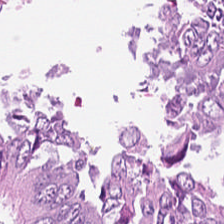Q: What does this patch show?
A: The field shows colorectal adenocarcinoma epithelium.
